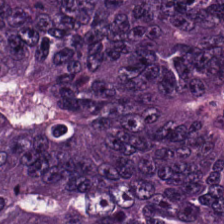Stain: H&E.
Resolution: 20× equivalent magnification.
Preparation: FFPE.
Predominant tissue: malignant epithelium.
